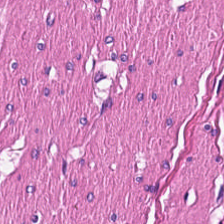H&E stain. The predominant tissue is muscularis.
